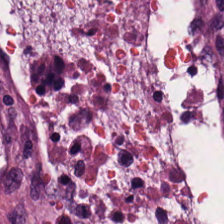H&E-stained tissue section — The tissue here is tumor stroma.
